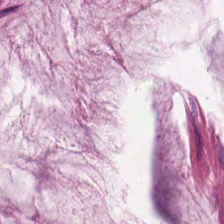Predominant tissue: mucin.
